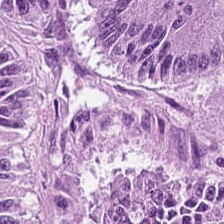H&E-stained tissue section — This patch shows malignant epithelium.
